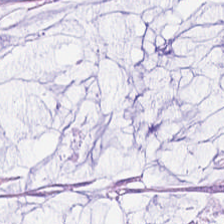H&E — Q: What is shown in this field?
A: Mucin.
